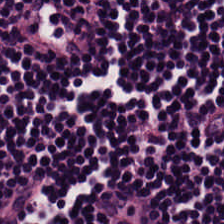Hematoxylin and eosin; 224×224 pixel tile; brightfield microscopy.
Tissue: lymphoid infiltrate.
